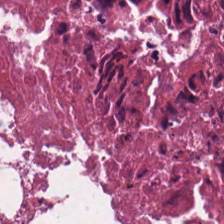H&E; whole-slide-image patch — Q: What tissue type is shown here?
A: It is debris.
